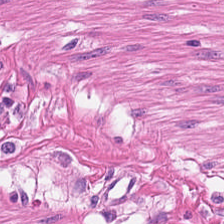Predominant tissue: smooth muscle.
